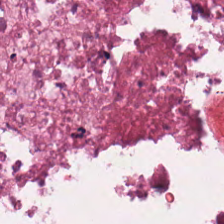Hematoxylin and eosin · brightfield · FFPE. {"tissue_type": "debris"}
